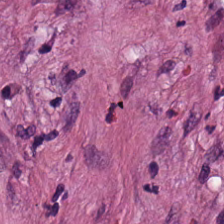224×224 px patch · H&E-stained tissue section. Q: What is shown here?
A: It is tumor-associated stroma.
